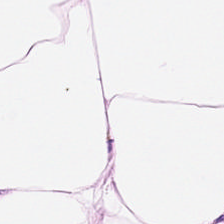FFPE. H&E — Q: What is shown here?
A: It is adipocytes.
